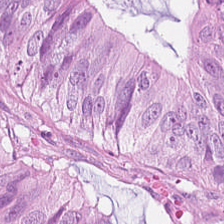Stain: hematoxylin-and-eosin stained section.
Preparation: FFPE.
Predominant tissue: colorectal adenocarcinoma.
